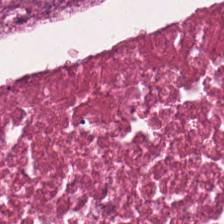Hematoxylin-and-eosin stained section; formalin-fixed paraffin-embedded section — Necrotic debris.
